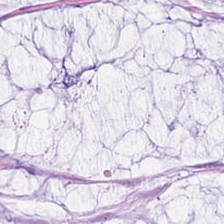Stain: H&E.
Tissue type: extracellular mucin.
